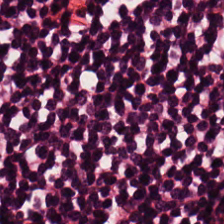Hematoxylin-and-eosin stained section. Tissue type — lymphoid infiltrate.
